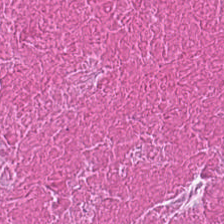Stain: hematoxylin and eosin.
Classification: necrotic debris.
